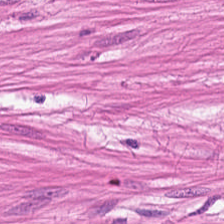Stain: H&E stain.
Tissue type: muscularis.
